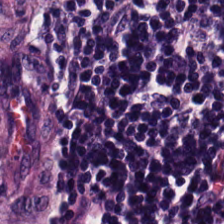Q: Classify this patch.
A: It is lymphocyte aggregate.
